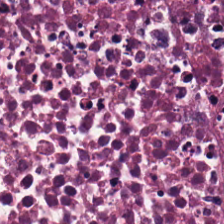H&E — The tissue here is cellular debris.
